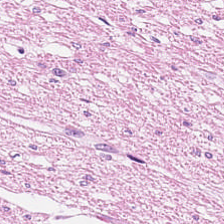H&E stain.
Classification = smooth-muscle tissue.
